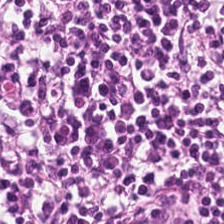Hematoxylin and eosin. The tissue here is lymphocyte aggregate.
